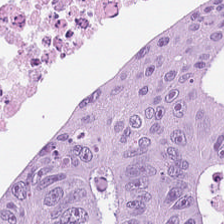H&E stain — Adenocarcinoma.
